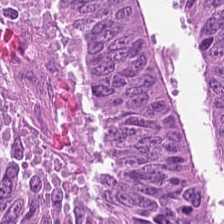Q: What tissue is shown?
A: This is tumor epithelium.
